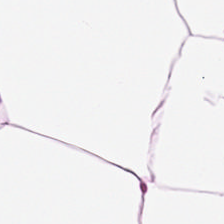0.5 µm/px · H&E-stained tissue section — Fat tissue.
